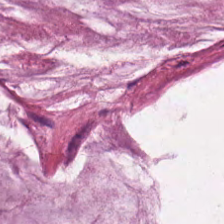Stain: hematoxylin and eosin.
Acquisition: whole-slide-image patch.
Tissue class: mucus.
